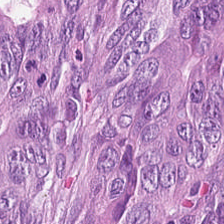Brightfield. H&E — The tissue here is colorectal adenocarcinoma.
